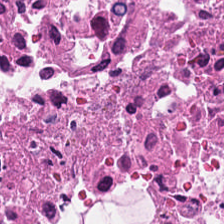Hematoxylin and eosin — The predominant tissue is necrotic debris.
